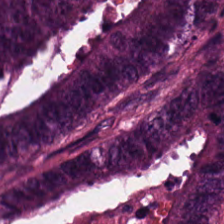Finding — tumor epithelium.
